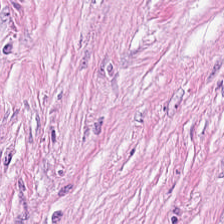Hematoxylin and eosin. Formalin-fixed paraffin-embedded section. Brightfield. This field is tumor-associated stroma.
